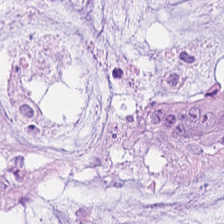Tissue type: extracellular mucin.
